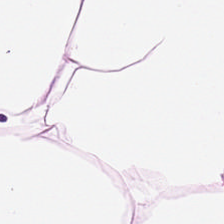H&E — adipose.
